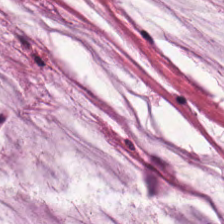H&E patch showing mucin.
